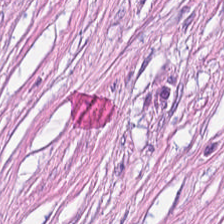H&E stain.
The tissue here is tumor-associated stroma.
